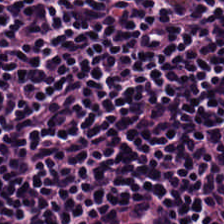Stain: H&E stain.
Tissue: lymphocyte aggregate.
